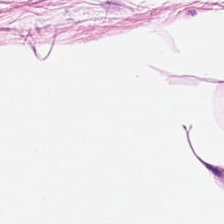H&E stain. Brightfield.
Q: What tissue type is shown here?
A: The field shows adipose tissue.
